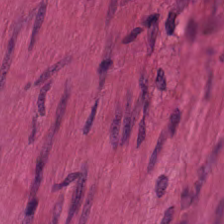H&E — Predominantly smooth-muscle tissue.
